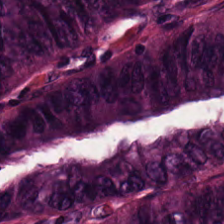H&E — Tissue class — tumor epithelium.
